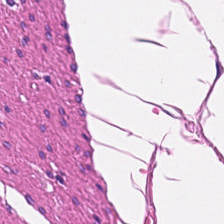Hematoxylin-and-eosin stained section; 224×224 px tile; 0.5 microns per pixel.
Q: What is shown here?
A: Smooth-muscle tissue.
